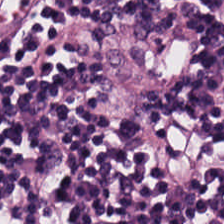H&E-stained tissue section. This field is lymphocyte aggregate.
